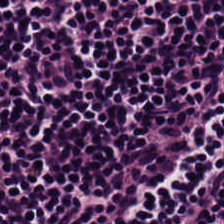H&E stain; whole-slide-image patch; 0.5 microns per pixel — The predominant tissue is lymphocytes.
